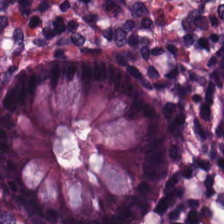Hematoxylin and eosin; brightfield. {"tissue_type": "non-neoplastic colon mucosa"}
